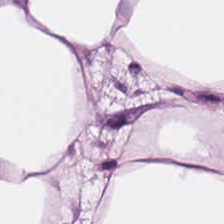H&E stain.
Showing adipocytes.
